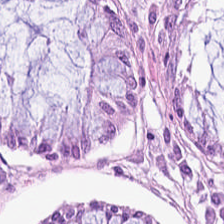H&E stain. Tissue class — normal colonic mucosa.
